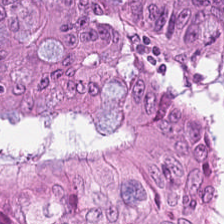Stain: H&E stain.
Tile size: 224×224 pixel tile.
Resolution: 0.5 µm/px.
Tissue type: malignant epithelium.
